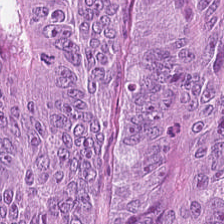Finding → malignant epithelium.
